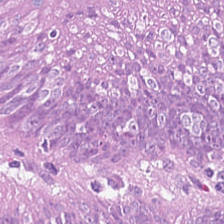224×224 pixel tile · hematoxylin-and-eosin stained section. Q: What is shown in this field?
A: Malignant epithelium.
